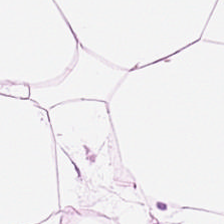Hematoxylin-and-eosin stained section.
Predominant tissue — adipocytes.
